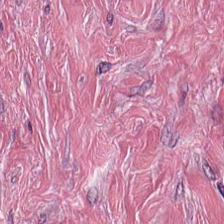Q: Identify the tissue.
A: It is tumor-associated stroma.
